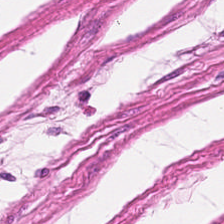Brightfield · H&E. Finding — muscularis.
